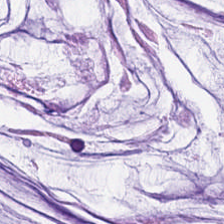{"tissue_type": "mucus"}
